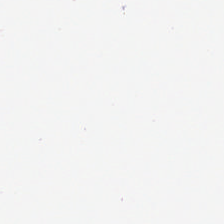Hematoxylin and eosin · brightfield. Finding — fat tissue.
